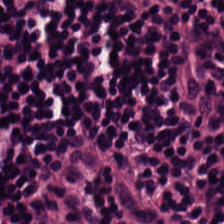0.5 µm per pixel · H&E stain.
Q: Identify the tissue.
A: The field shows lymphocytes.
